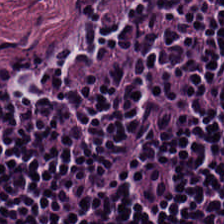H&E stain. Q: What tissue type is shown here?
A: This is lymphocyte aggregate.
